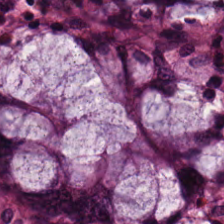FFPE. H&E — Finding — normal colonic mucosa.
